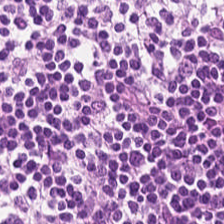Predominant tissue — lymphocytic infiltrate.
